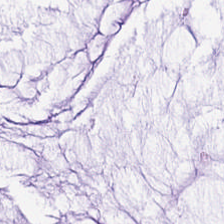H&E-stained tissue section · whole-slide-image patch — {"tissue_type": "extracellular mucin"}
